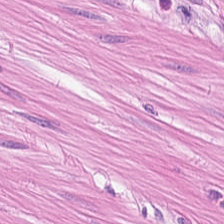Hematoxylin and eosin. Predominantly smooth-muscle tissue.
